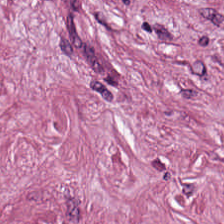Hematoxylin and eosin — Showing tumor stroma.
